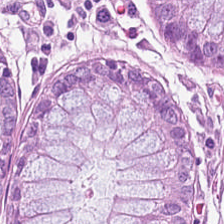224×224 px tile. Formalin-fixed paraffin-embedded section. Hematoxylin-and-eosin stained section. Tissue class: normal colon mucosa.
